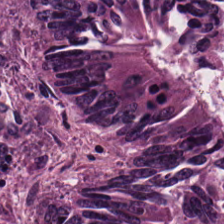Hematoxylin-and-eosin stained section. FFPE tissue section.
The predominant tissue is colorectal adenocarcinoma epithelium.
